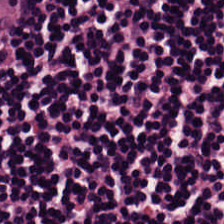Stain: H&E-stained tissue section.
Preparation: FFPE.
Predominant tissue: lymphoid infiltrate.
